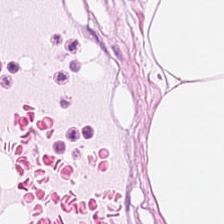Hematoxylin and eosin. Tissue class — adipocytes.
